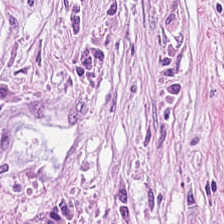H&E-stained tissue section — Q: Classify this patch.
A: The field shows tumor stroma.
